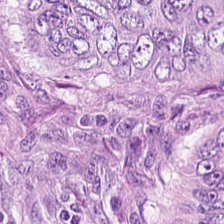Hematoxylin-and-eosin section: colorectal adenocarcinoma.
